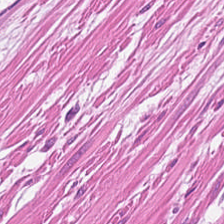WSI patch. Hematoxylin-and-eosin stained section — This patch shows smooth muscle.
